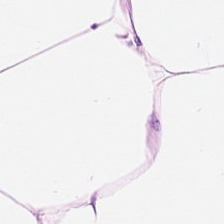224×224 pixel tile · hematoxylin and eosin · formalin-fixed paraffin-embedded section. This patch shows fat tissue.
